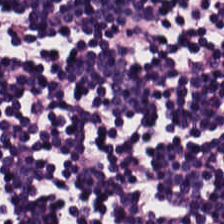H&E stain. Histology → lymphoid infiltrate.
